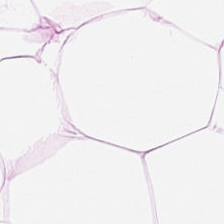Formalin-fixed paraffin-embedded section; H&E stain. The predominant tissue is adipocytes.
